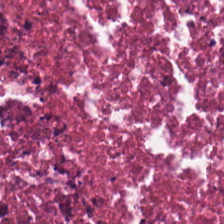FFPE. H&E-stained tissue section.
Tissue — debris.
